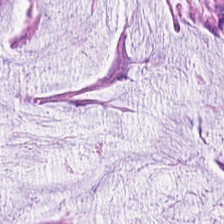Stain: hematoxylin and eosin.
Tissue class: extracellular mucin.
